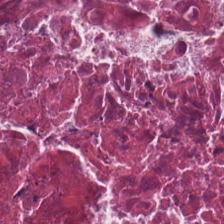H&E stain · 224×224 px patch.
Tissue type: debris.
